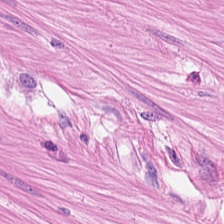0.5 microns per pixel. H&E. WSI patch.
This field is muscularis.
